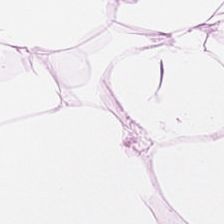Whole-slide-image patch; H&E; 0.5 microns per pixel.
This patch shows adipocytes.
